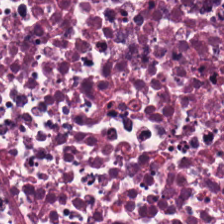Whole-slide-image patch. H&E stain.
Classification — necrotic debris.
